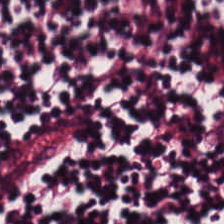Predominant tissue: lymphocytes.
